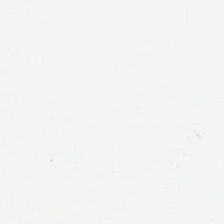Stain: H&E-stained tissue section.
Tile size: 224×224 px tile.
Resolution: 0.5 µm/px.
Field content: empty background.
